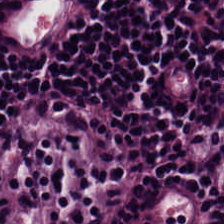H&E — Q: Classify this patch.
A: The field shows lymphocytes.
